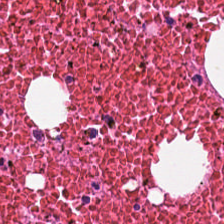H&E-stained tissue section. Q: What does this patch show?
A: Cellular debris.
